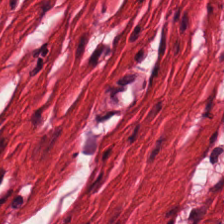Hematoxylin and eosin.
Histology → smooth muscle.
